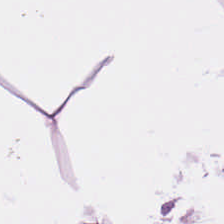{"tissue_type": "fat tissue"}
